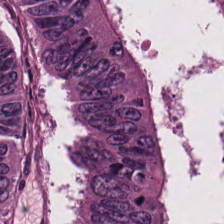Q: Classify this patch.
A: It is colorectal adenocarcinoma.
